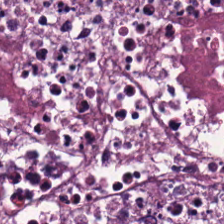Hematoxylin and eosin — Q: What is shown here?
A: The field shows necrotic debris.
